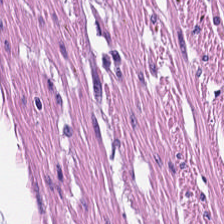H&E-stained tissue section — Showing muscularis.
